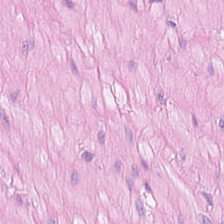Hematoxylin and eosin. This field is smooth-muscle tissue.
